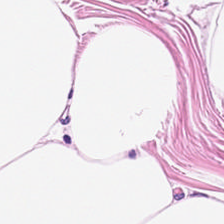Hematoxylin and eosin.
This patch shows fat tissue.
